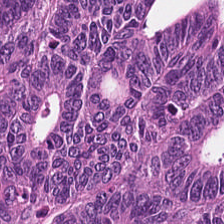H&E. Tissue class: adenocarcinoma.
